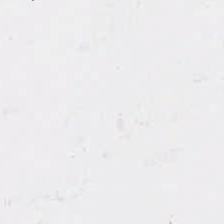H&E stain — No tissue present; background only.
